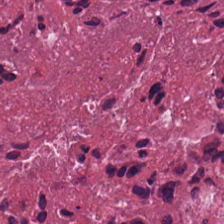The tissue class is debris.
